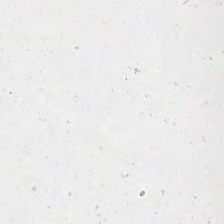Finding — no tissue.
